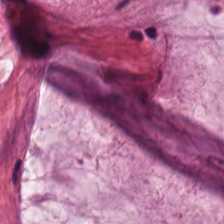0.5 µm per pixel · FFPE · H&E-stained tissue section — Predominantly mucus.
